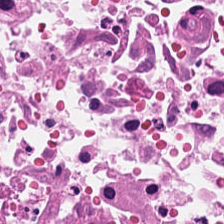H&E — The predominant tissue is necrotic debris.
